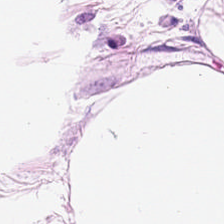H&E-stained tissue section; 224×224 px tile.
The tissue class is adipose.
